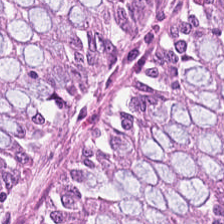Hematoxylin and eosin.
Classification: normal colon mucosa.
